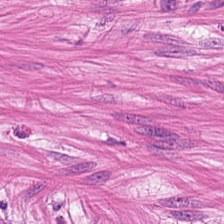Brightfield. Hematoxylin-and-eosin stained section — Histology — smooth muscle.
